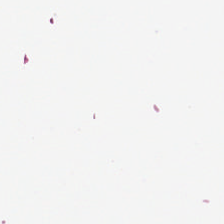Hematoxylin and eosin — Q: What is shown in this field?
A: Background.
